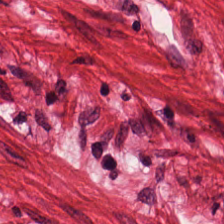Stain: H&E stain.
Tile size: 224×224 px tile.
Predominant tissue: smooth-muscle tissue.
